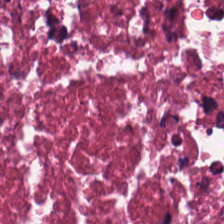Tissue type: debris.
